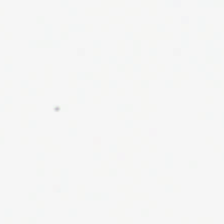H&E — Content — empty background.
